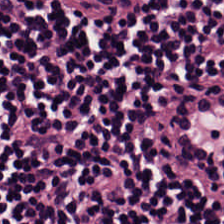This field is lymphocytic infiltrate.
